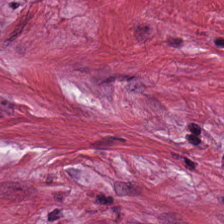Stain: H&E.
Tissue class: cancer-associated stroma.
